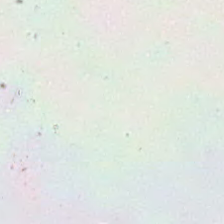H&E. This patch shows no tissue.
